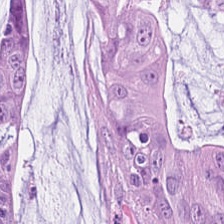WSI patch. H&E-stained tissue section — Classification: extracellular mucin.
